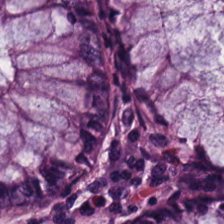H&E patch showing normal colon mucosa.
